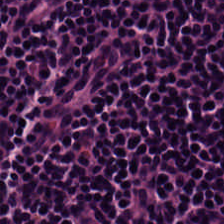224×224 px patch · H&E · brightfield.
Impression → lymphocytes.
